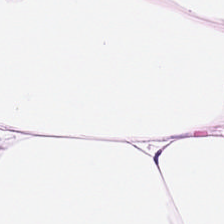H&E — fat tissue.
